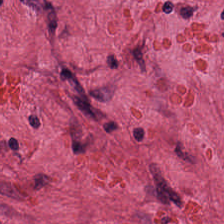20× equivalent magnification; hematoxylin and eosin.
The classification is tumor stroma.
